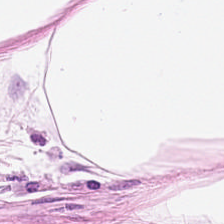0.5 µm/px · H&E-stained tissue section · brightfield.
Histology → adipose tissue.
